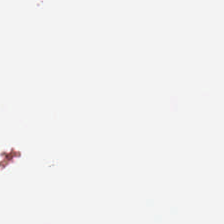Field content = background.
